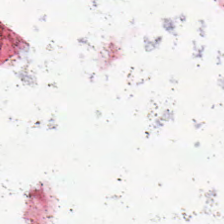H&E; FFPE tissue section. Content: no tissue.
